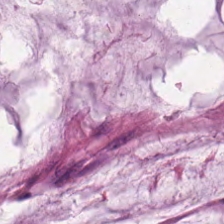Stain: H&E-stained tissue section.
Classification: mucus.
